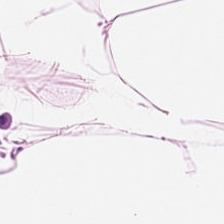Stain: H&E-stained tissue section.
Preparation: formalin-fixed paraffin-embedded section.
Predominant tissue: adipose.
